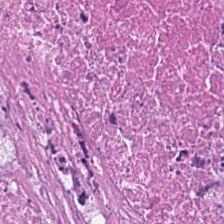0.5 µm/px · 224×224 px tile · hematoxylin and eosin — {"tissue_type": "cellular debris"}
